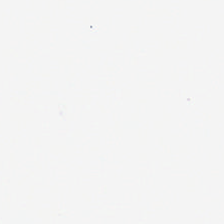H&E-stained tissue section. Content: empty background.
